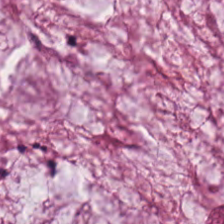H&E · FFPE tissue section.
Q: What tissue is shown?
A: It is mucin.
